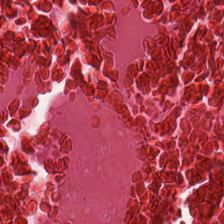Debris.
